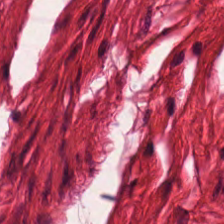FFPE. H&E stain. 224×224 pixel tile — Tissue = smooth muscle.
